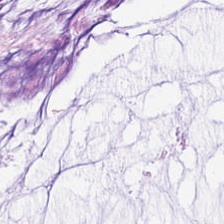Hematoxylin-and-eosin stained section — Extracellular mucin.
